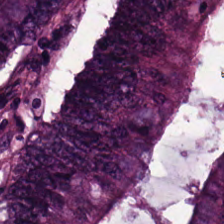H&E.
Classification = adenocarcinoma.
